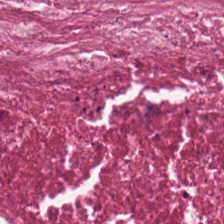H&E stain — This field is cellular debris.
